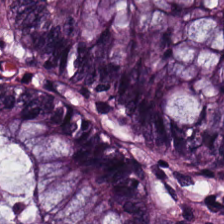Q: Classify this patch.
A: Benign colonic mucosa.
